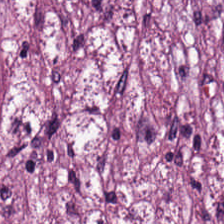H&E. Formalin-fixed paraffin-embedded section. 224×224 px patch. Q: What type of tissue is this?
A: Cancer-associated stroma.
